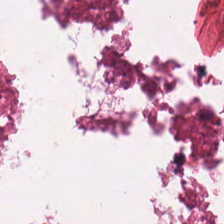20× equivalent magnification; FFPE; H&E stain — The tissue type is cellular debris.
